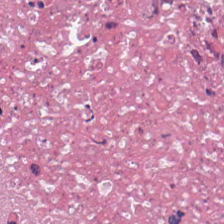Stain: hematoxylin and eosin.
Tissue type: necrotic debris.
